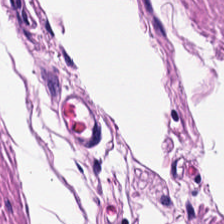Hematoxylin and eosin. {"tissue_type": "smooth muscle"}
